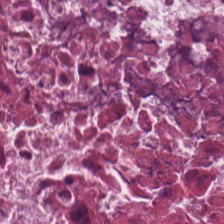H&E-stained tissue section — Q: What is shown here?
A: Cellular debris.
